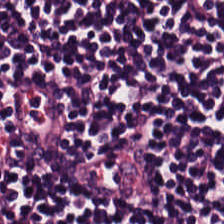Hematoxylin-and-eosin stained section — Tissue type: lymphocytes.
